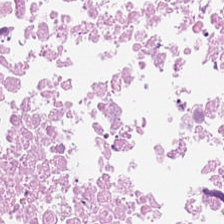Whole-slide-image patch · formalin-fixed paraffin-embedded section · hematoxylin and eosin. Tissue class — necrotic debris.
